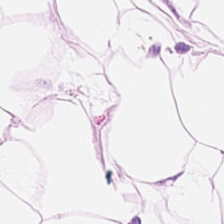Hematoxylin and eosin — Tissue type — fat tissue.
